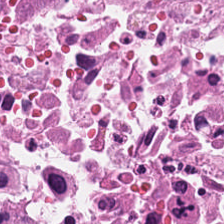H&E-stained tissue section — Predominantly cellular debris.
